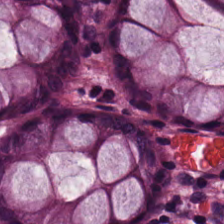WSI patch · 0.5 µm per pixel · hematoxylin and eosin.
Showing normal colon mucosa.
